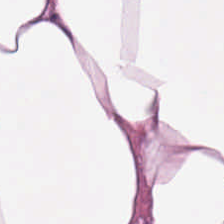Hematoxylin and eosin.
This patch shows adipocytes.
